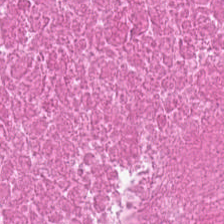H&E-stained tissue section — {"tissue_type": "necrotic debris"}
